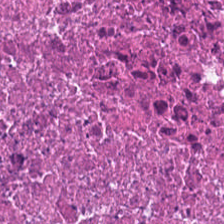Q: What tissue is shown?
A: This is cellular debris.
